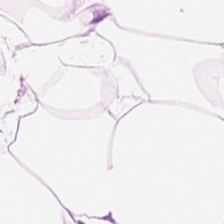Hematoxylin and eosin · 224×224 px tile — Impression — adipose.
